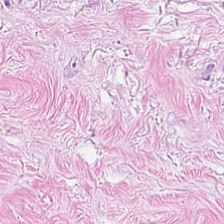H&E-stained tissue section. Q: What tissue type is shown here?
A: It is cancer-associated stroma.
